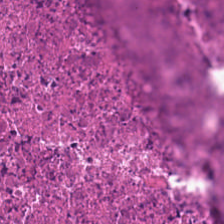Hematoxylin and eosin; 224×224 px tile; brightfield.
Classification: necrotic debris.
